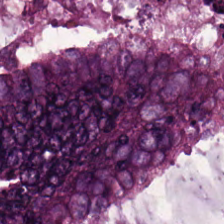H&E-stained tissue section. Classification = colorectal adenocarcinoma.
